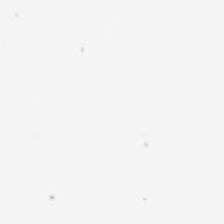Background (no tissue).
